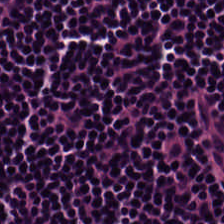Q: What is shown here?
A: Lymphocytes.
